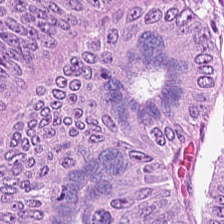H&E. Malignant epithelium.
